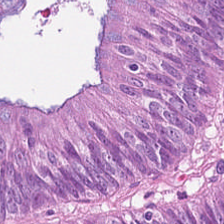Q: Identify the tissue.
A: Tumor epithelium.
